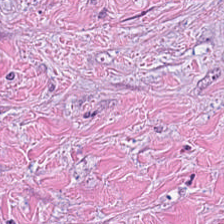Hematoxylin-and-eosin stained section — Impression → tumor stroma.
